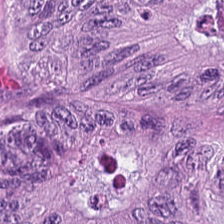Brightfield · H&E-stained tissue section · 0.5 µm/px — Tissue class = colorectal adenocarcinoma epithelium.
